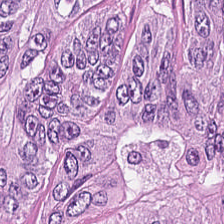Stain: hematoxylin and eosin.
Tissue type: colorectal adenocarcinoma epithelium.
